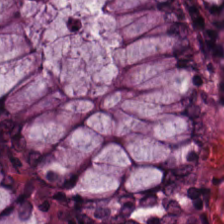224×224 px patch; H&E.
Showing normal colonic mucosa.
